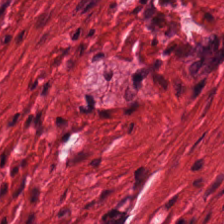Stain: H&E-stained tissue section.
Tissue class: smooth-muscle tissue.
